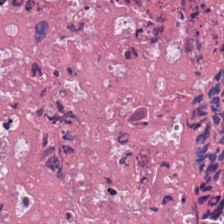0.5 µm/px · hematoxylin and eosin · brightfield microscopy — The tissue class is cellular debris.
